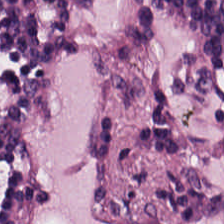H&E-stained tissue section; whole-slide-image patch.
The tissue class is lymphocytes.
